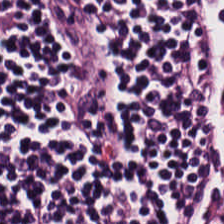Hematoxylin-and-eosin stained section. Q: Identify the tissue.
A: This is lymphocytic infiltrate.
